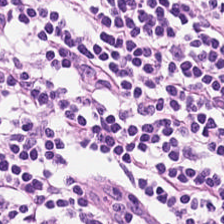H&E stain. Q: Identify the tissue.
A: Lymphocytes.
